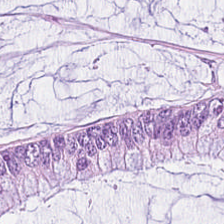Stain: H&E-stained tissue section.
Tissue type: mucin.
